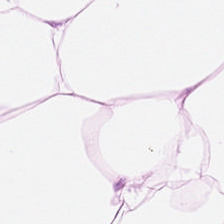Brightfield microscopy. H&E-stained tissue section — This patch shows adipose tissue.
